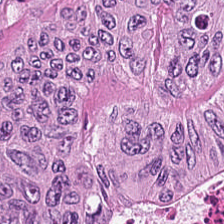224×224 px tile · hematoxylin-and-eosin stained section · WSI patch — Q: Identify the tissue.
A: Tumor epithelium.
